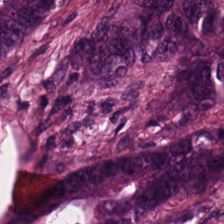H&E. Q: Identify the tissue.
A: This is colorectal adenocarcinoma.
